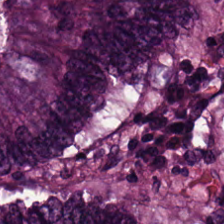H&E-stained tissue section. Q: What does this patch show?
A: It is colorectal adenocarcinoma.
